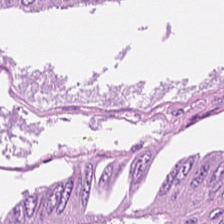Hematoxylin-and-eosin stained section — This patch shows tumor epithelium.
